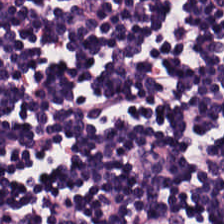H&E-stained tissue section. Q: Identify the tissue.
A: The field shows lymphocytes.
